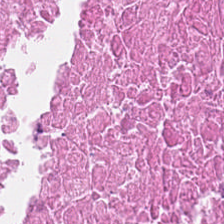Brightfield. H&E-stained tissue section. The tissue is cellular debris.
